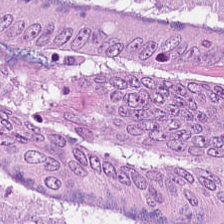WSI patch; hematoxylin-and-eosin stained section. Q: Classify this patch.
A: This is adenocarcinoma.
